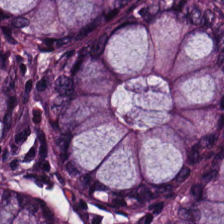Formalin-fixed paraffin-embedded section. H&E — Tissue — non-neoplastic colon mucosa.
